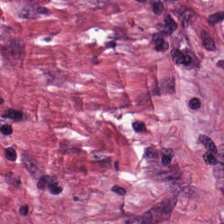The tissue here is desmoplastic stroma.
